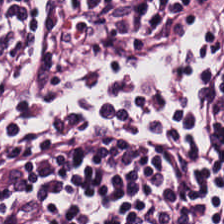Histology — lymphocyte aggregate.
